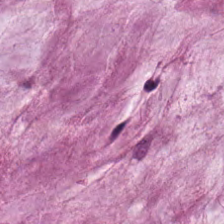Hematoxylin and eosin · FFPE tissue section · brightfield. This field is mucin.
